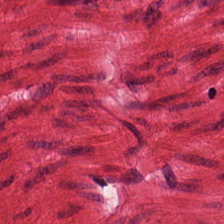Stain: hematoxylin and eosin.
Tissue type: muscularis.
